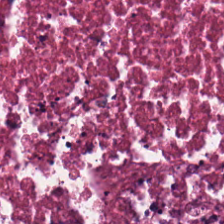Hematoxylin and eosin — Showing debris.
